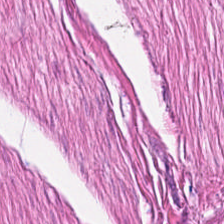Stain: hematoxylin-and-eosin stained section.
Predominant tissue: smooth muscle.
